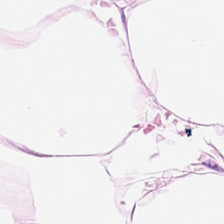0.5 µm/px · H&E · brightfield microscopy.
Impression — adipose.
